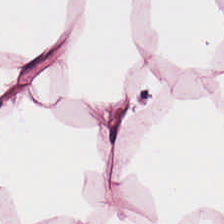H&E-stained tissue section — Finding → adipose tissue.
